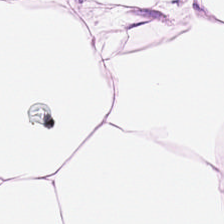H&E — Tissue class — adipose tissue.
